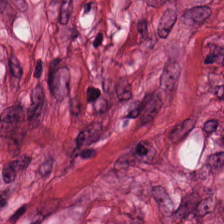H&E-stained section; the field shows desmoplastic stroma.
